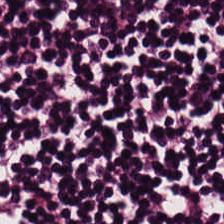Showing lymphoid infiltrate.
